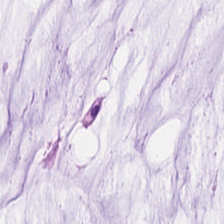Stain: H&E-stained tissue section.
Classification: extracellular mucin.
